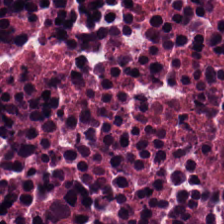Hematoxylin-and-eosin stained section. Brightfield microscopy. Q: Classify this patch.
A: It is necrotic debris.
